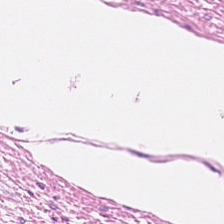Stain: H&E stain.
Preparation: formalin-fixed paraffin-embedded section.
Classification: smooth-muscle tissue.
